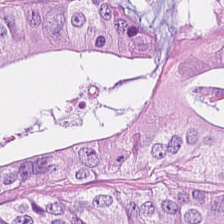Tissue type: adenocarcinoma.
